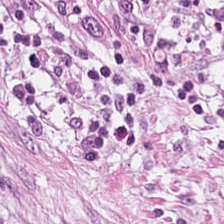0.5 µm/px; hematoxylin and eosin.
{"tissue_type": "cancer-associated stroma"}
